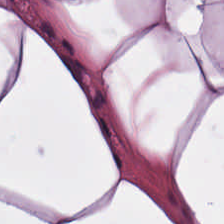H&E-stained tissue section — This field is adipocytes.
